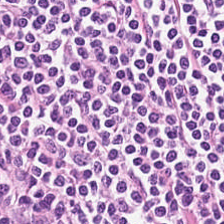Stain: H&E.
Resolution: 0.5 µm per pixel.
Tissue class: lymphocyte aggregate.
